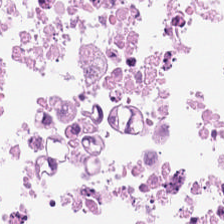H&E. 224×224 px tile. Predominant tissue = debris.
